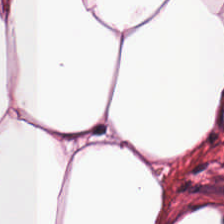H&E stain · 0.5 microns per pixel · formalin-fixed paraffin-embedded section — Fat tissue.
